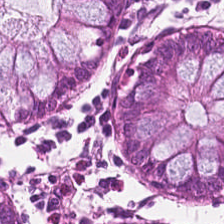H&E stain. 224×224 px tile — Classification: normal colonic mucosa.
